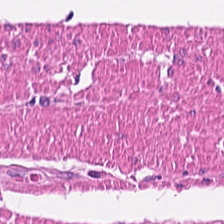H&E patch showing muscularis.
